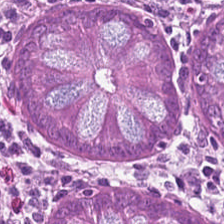H&E — benign colonic mucosa.
